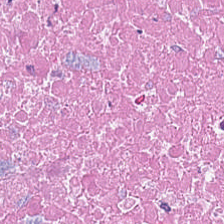224×224 px tile · H&E-stained tissue section. Histology → cellular debris.
